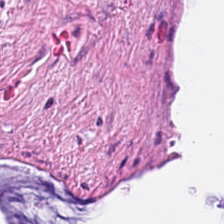Hematoxylin-and-eosin stained section.
The tissue here is mucin.
